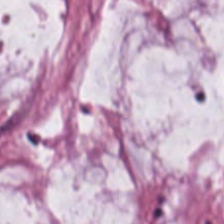20× equivalent magnification · hematoxylin and eosin.
{"tissue_type": "mucin"}
